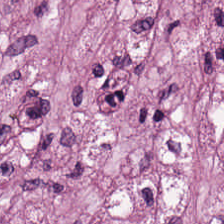Brightfield microscopy. Hematoxylin and eosin. Q: What type of tissue is this?
A: Tumor-associated stroma.
